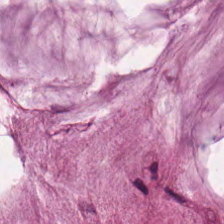H&E-stained tissue section.
Tissue class: extracellular mucin.
